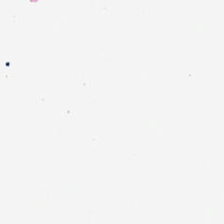H&E stain. No tissue present; background only.
